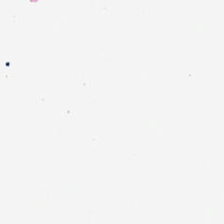H&E stain. No tissue present; background only.
